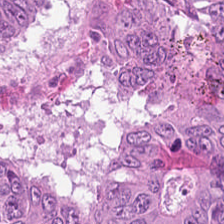H&E — The tissue here is tumor epithelium.
